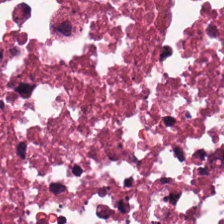224×224 px tile; H&E stain.
The predominant tissue is cellular debris.
